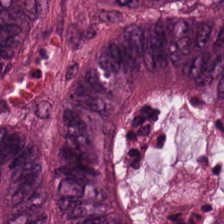The predominant tissue is malignant epithelium.
